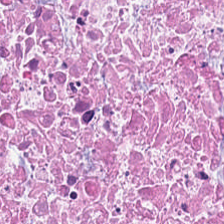H&E patch showing cellular debris.
